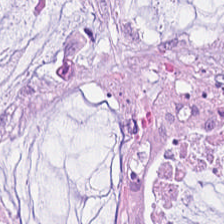Brightfield · H&E · 224×224 pixel tile.
The predominant tissue is extracellular mucin.
